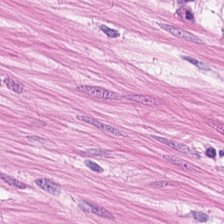Stain: H&E stain.
Tile size: 224×224 px patch.
Acquisition: whole-slide-image patch.
Predominant tissue: smooth muscle.
